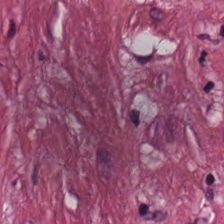H&E.
Tissue class: tumor stroma.
